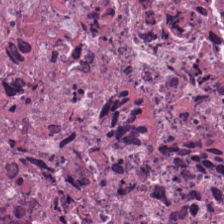WSI patch. H&E stain. 0.5 µm per pixel — Q: What is shown in this field?
A: It is necrotic debris.
